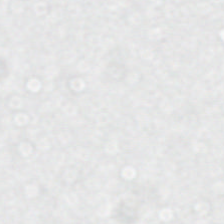Brightfield microscopy · H&E stain — Background — no tissue in this field.
